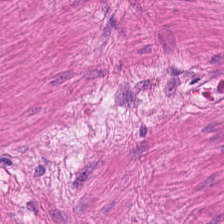Hematoxylin-and-eosin stained section. Smooth-muscle tissue.
